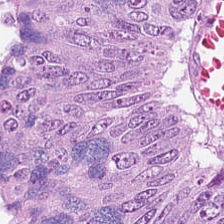H&E.
The tissue type is malignant epithelium.
